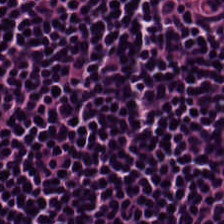Hematoxylin and eosin.
Predominant tissue — lymphoid infiltrate.
